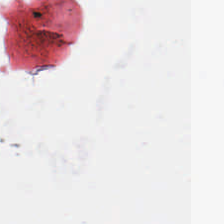H&E stain; 224×224 px patch.
This field is background (no tissue).
